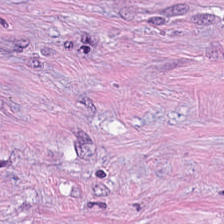0.5 µm per pixel · 224×224 px tile · H&E stain — The predominant tissue is tumor-associated stroma.
